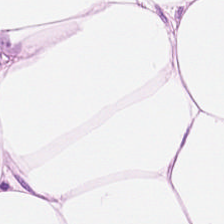Q: What does this patch show?
A: The field shows adipose.
